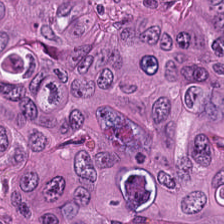WSI patch. Hematoxylin and eosin.
Impression — colorectal adenocarcinoma epithelium.
